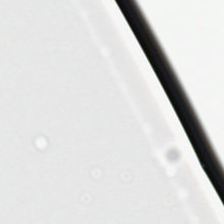{"content": "background"}
